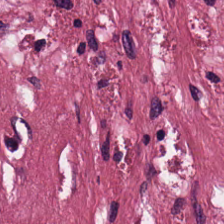Q: Identify the tissue.
A: This is desmoplastic stroma.
